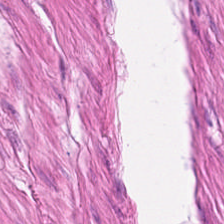{"tissue_type": "smooth muscle"}
